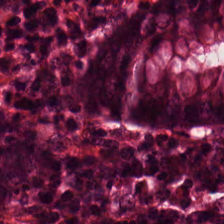H&E-stained tissue section. This patch shows benign colonic mucosa.
